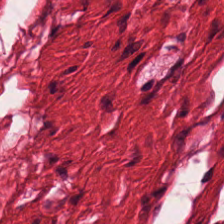Whole-slide-image patch; hematoxylin and eosin; 224×224 px patch. This field is smooth muscle.
